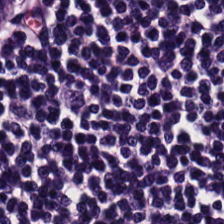224×224 px patch. Hematoxylin-and-eosin stained section. Predominant tissue: lymphocytes.
